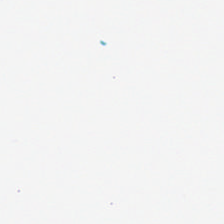Histology → empty background.
